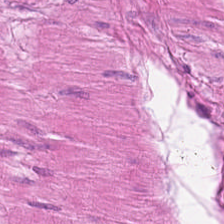224×224 px patch. H&E. 0.5 µm/px.
Finding → smooth muscle.
